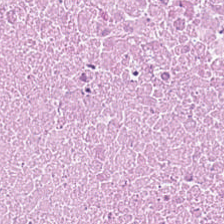Tissue class: cellular debris.
